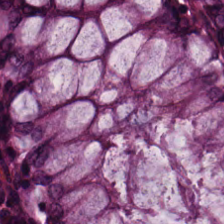H&E-stained tissue section — Q: What is shown in this field?
A: The field shows normal colon mucosa.
